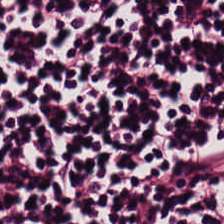H&E. WSI patch. Predominantly lymphoid infiltrate.
